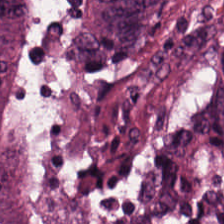Tissue: tumor epithelium.
